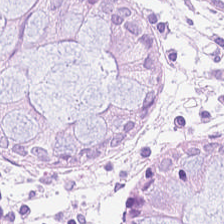224×224 px tile. Hematoxylin-and-eosin stained section. This patch shows non-neoplastic colon mucosa.
